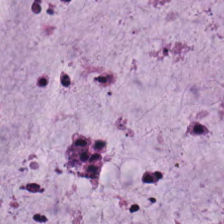Q: What is the predominant tissue type?
A: This is mucus.
